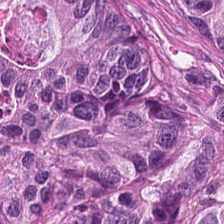FFPE tissue section. Hematoxylin and eosin.
Tissue — malignant epithelium.
